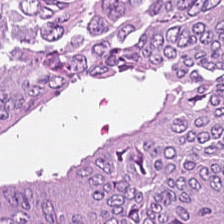H&E.
Q: What is shown in this field?
A: Adenocarcinoma.
